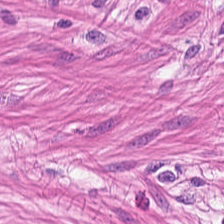0.5 microns per pixel; hematoxylin and eosin. Showing smooth-muscle tissue.
